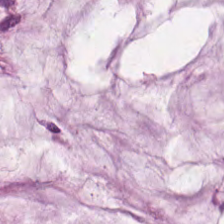Hematoxylin and eosin. Q: What does this patch show?
A: This is mucin.
